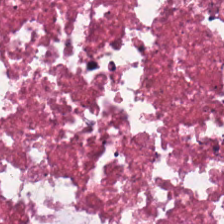Classification — debris.
